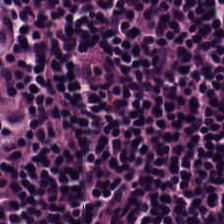H&E stain.
Q: Classify this patch.
A: Lymphoid infiltrate.
